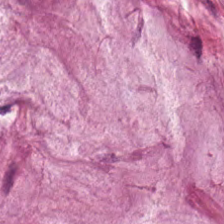0.5 microns per pixel. H&E stain. 224×224 px tile — {"tissue_type": "extracellular mucin"}
